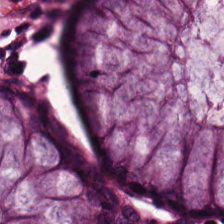Whole-slide-image patch. H&E-stained tissue section. 224×224 px tile. Tissue — benign colonic mucosa.
